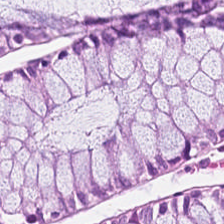H&E stain — This field is normal colonic mucosa.
